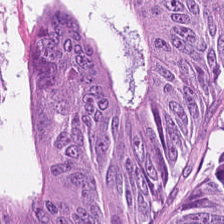H&E-stained tissue section. 224×224 pixel tile. 0.5 µm/px.
Showing tumor epithelium.
